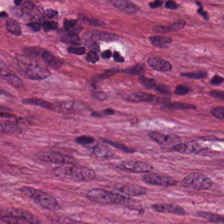Finding — tumor-associated stroma.
